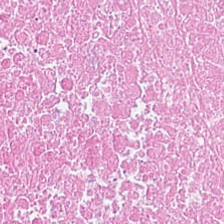0.5 µm per pixel; H&E-stained tissue section — The predominant tissue is necrotic debris.
